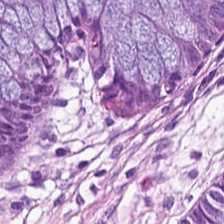H&E stain. This patch shows benign colonic mucosa.
